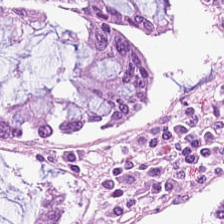Hematoxylin and eosin; 0.5 microns per pixel; 224×224 px tile — The tissue here is normal colonic mucosa.
